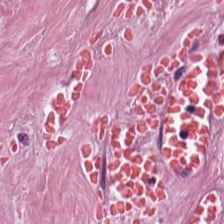Tissue class: tumor-associated stroma.
